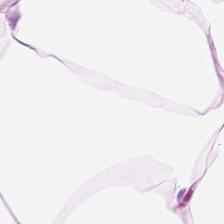H&E-stained tissue section. Whole-slide-image patch — Showing adipose.
